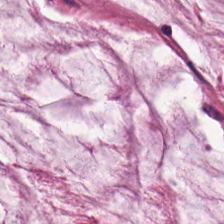Tissue — extracellular mucin.
